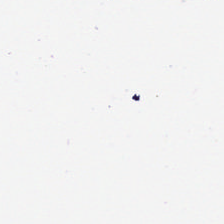Stain: hematoxylin and eosin.
Classification: background.
